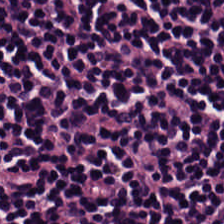H&E stain; formalin-fixed paraffin-embedded section; 224×224 pixel tile. Histology — lymphocytic infiltrate.
